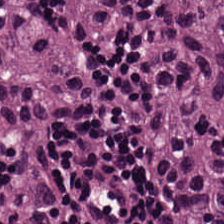H&E stain. 0.5 microns per pixel. The predominant tissue is adenocarcinoma.
